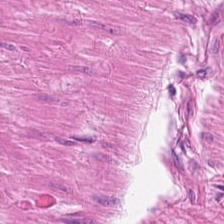{"tissue_type": "smooth-muscle tissue"}
